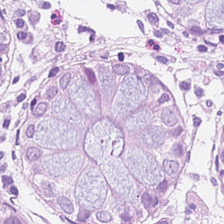Stain: hematoxylin-and-eosin stained section.
Tissue class: normal colonic mucosa.
